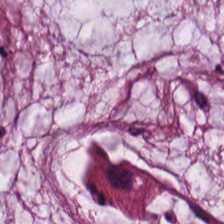The tissue here is extracellular mucin.
